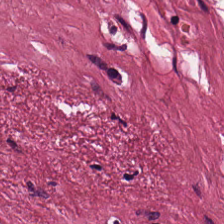Showing tumor stroma.
